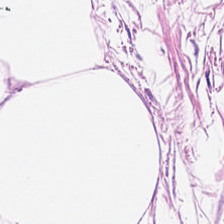{"tissue_type": "adipose tissue"}
